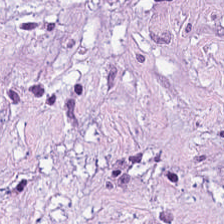H&E.
Tissue = tumor stroma.
